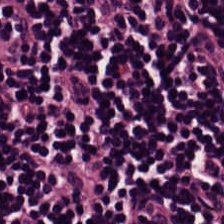Stain: H&E-stained tissue section.
Tissue: lymphocyte aggregate.
